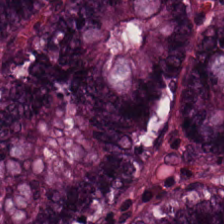H&E · 0.5 microns per pixel — Q: What is the predominant tissue type?
A: This is non-neoplastic colon mucosa.
